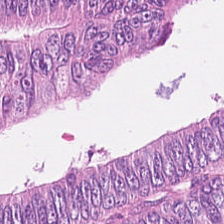H&E.
Predominant tissue — tumor epithelium.
